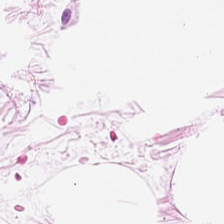Whole-slide-image patch · H&E-stained tissue section.
This patch shows fat tissue.
